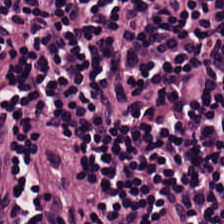Q: What is the predominant tissue type?
A: Lymphocyte aggregate.
